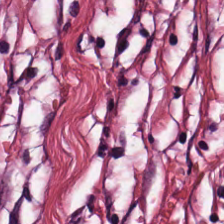Cancer-associated stroma.
